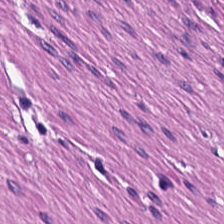This patch shows muscularis.
